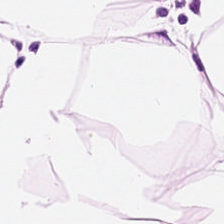H&E stain — Classification — adipose tissue.
